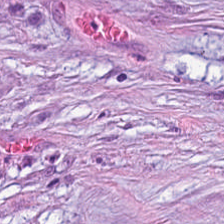224×224 pixel tile · H&E stain.
The tissue here is tumor stroma.
